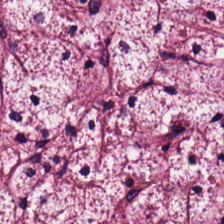Stain: H&E-stained tissue section.
Tissue: tumor stroma.
